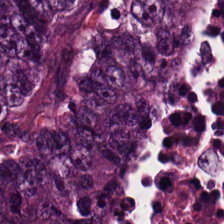H&E-stained tissue section — Histology → tumor epithelium.
